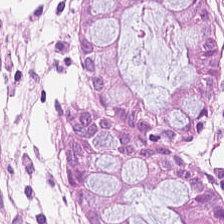Q: What is shown in this field?
A: It is normal colonic mucosa.
